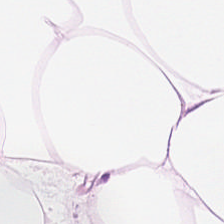H&E-stained tissue section showing adipose.
